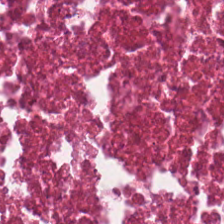H&E-stained tissue section; FFPE — Q: What is shown here?
A: This is necrotic debris.
